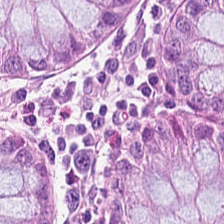WSI patch. H&E. Classification — benign colonic mucosa.
